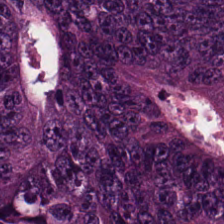H&E-stained tissue section — Predominantly colorectal adenocarcinoma.
